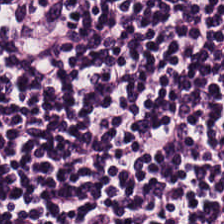H&E stain. 0.5 µm per pixel. 224×224 px tile.
{"tissue_type": "lymphocytes"}
